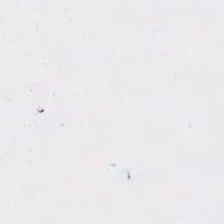Brightfield. Hematoxylin and eosin.
Finding — no tissue.
